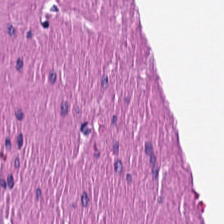Whole-slide-image patch; H&E stain. Classification — smooth muscle.
